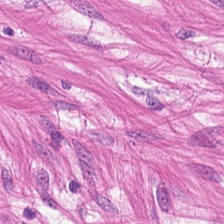Stain: hematoxylin and eosin.
Acquisition: whole-slide-image patch.
Tissue class: smooth muscle.
